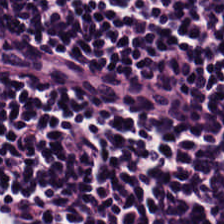Q: What tissue type is shown here?
A: This is lymphocyte aggregate.
